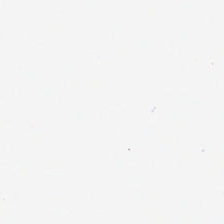Q: What is shown in this field?
A: No tissue.
